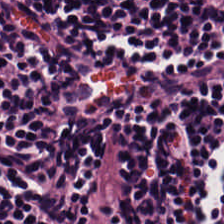Finding → lymphocyte aggregate.
